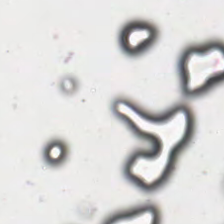Stain: H&E-stained tissue section.
Field content: empty background.
